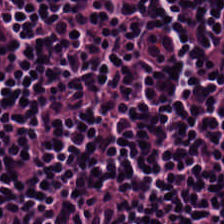Brightfield; 20× equivalent magnification; H&E-stained tissue section. {"tissue_type": "lymphocytic infiltrate"}
